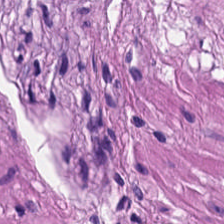FFPE. H&E stain — Tissue type — smooth-muscle tissue.
